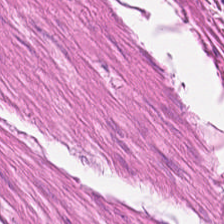H&E-stained tissue section — The predominant tissue is smooth muscle.
